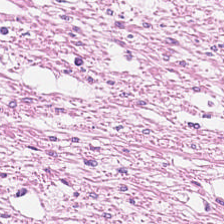H&E. This patch shows smooth muscle.
